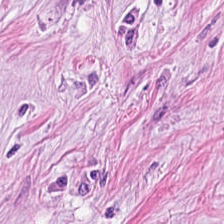H&E stain; brightfield; FFPE tissue section. Q: What tissue is shown?
A: The field shows cancer-associated stroma.
